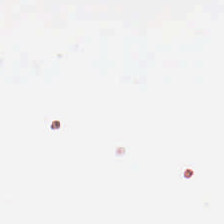H&E stain — The classification is background (no tissue).
